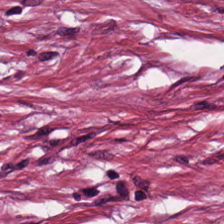H&E stain; WSI patch; 224×224 pixel tile.
Predominant tissue: tumor-associated stroma.
